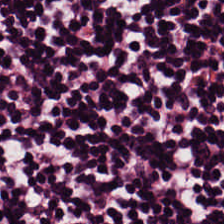Hematoxylin-and-eosin stained section · WSI patch. Q: What type of tissue is this?
A: The field shows lymphoid infiltrate.
